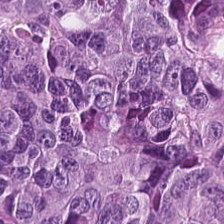Hematoxylin and eosin; formalin-fixed paraffin-embedded section. Q: What does this patch show?
A: It is tumor epithelium.
